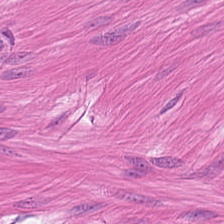H&E; whole-slide-image patch — Tissue = smooth muscle.
